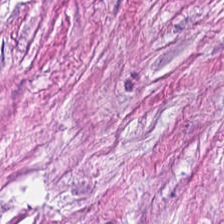H&E-stained tissue section showing desmoplastic stroma.
